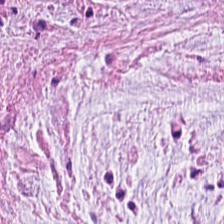224×224 px tile; H&E-stained tissue section; formalin-fixed paraffin-embedded section.
This field is mucin.
